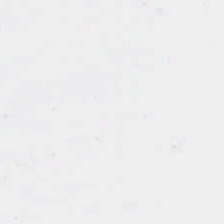Hematoxylin and eosin. {"content": "empty background"}
